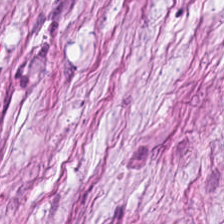224×224 px tile; H&E; 0.5 µm/px.
Finding — desmoplastic stroma.
